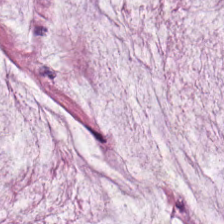H&E. 224×224 pixel tile. Predominantly mucin.
